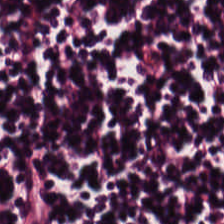H&E stain. 224×224 px tile. The tissue class is lymphocytes.
